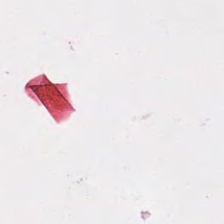0.5 µm/px; H&E.
Q: What is shown here?
A: This is background (no tissue).
